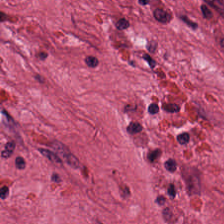Stain: H&E-stained tissue section.
Tissue class: tumor stroma.
